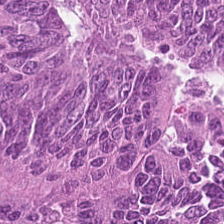Hematoxylin and eosin. Classification: colorectal adenocarcinoma epithelium.
